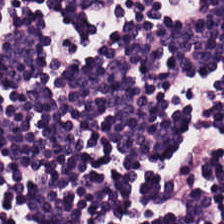Hematoxylin and eosin; 224×224 px tile — Predominant tissue: lymphoid infiltrate.
